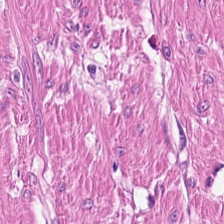Formalin-fixed paraffin-embedded section; hematoxylin and eosin — Tissue class — smooth muscle.
